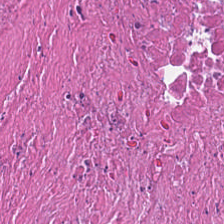H&E-stained tissue section. The tissue is cellular debris.
